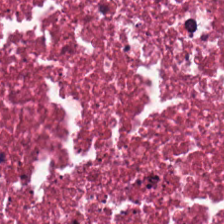Hematoxylin-and-eosin stained section.
This field is cellular debris.
